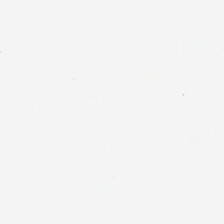Stain: hematoxylin and eosin.
Content: background (no tissue).
